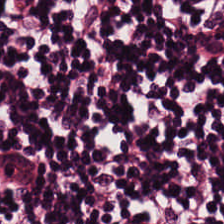Hematoxylin-and-eosin stained section; FFPE tissue section; 0.5 µm per pixel.
Classification: lymphocytic infiltrate.
